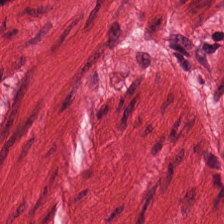H&E stain; 0.5 µm per pixel.
Muscularis.
